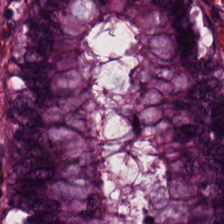224×224 px tile; H&E stain — The tissue here is normal colonic mucosa.
